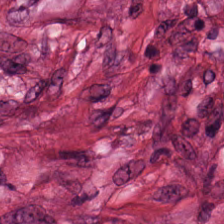224×224 pixel tile · H&E stain · 0.5 µm per pixel.
Showing tumor stroma.
